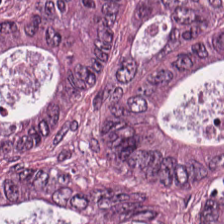0.5 µm per pixel · H&E-stained tissue section · FFPE tissue section.
Tissue class: adenocarcinoma.
